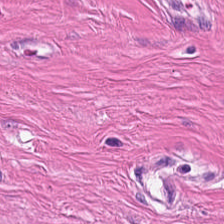H&E; 0.5 µm/px; formalin-fixed paraffin-embedded section — Histology — smooth muscle.
